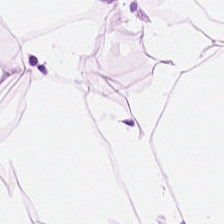The tissue here is adipose.
